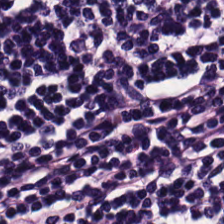Stain: H&E-stained tissue section.
Classification: lymphocyte aggregate.
